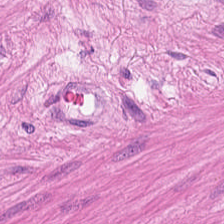Stain: hematoxylin-and-eosin stained section.
Resolution: 20× equivalent magnification.
Preparation: FFPE.
Tissue: smooth muscle.
